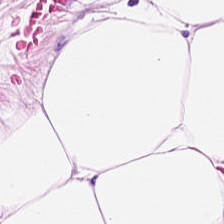Hematoxylin and eosin · FFPE. Tissue — adipose tissue.
